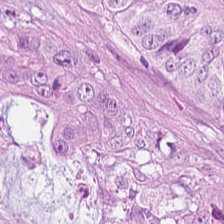Hematoxylin and eosin.
Tumor epithelium.
